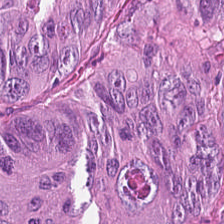Q: What tissue type is shown here?
A: This is colorectal adenocarcinoma epithelium.
